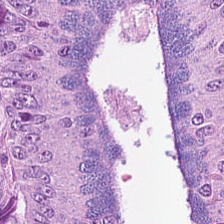Hematoxylin and eosin. Q: What tissue type is shown here?
A: The field shows malignant epithelium.
